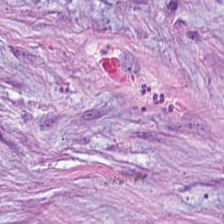Hematoxylin-and-eosin stained section; brightfield.
The predominant tissue is tumor-associated stroma.
